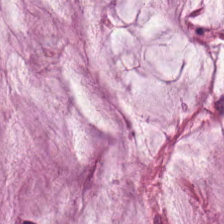Stain: hematoxylin and eosin.
Tile size: 224×224 px tile.
Preparation: FFPE tissue section.
Tissue class: mucus.
